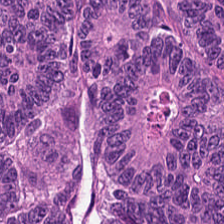0.5 microns per pixel; H&E. Tissue = malignant epithelium.
